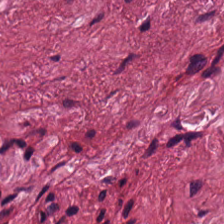Q: What does this patch show?
A: The field shows tumor-associated stroma.
